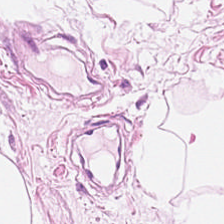Tissue type: adipose tissue.
